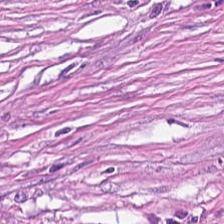H&E stain.
{"tissue_type": "tumor stroma"}
